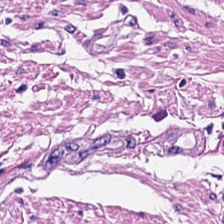FFPE tissue section. H&E-stained tissue section. Brightfield microscopy.
This field is muscularis.
